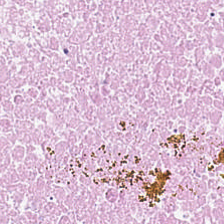H&E — debris.
